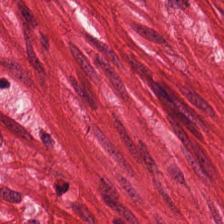Hematoxylin and eosin. 224×224 px patch. WSI patch — Impression → smooth muscle.
